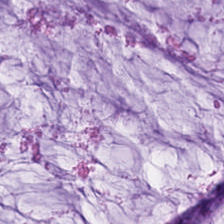H&E-stained tissue section. Histology → extracellular mucin.
